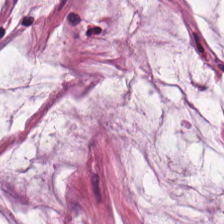H&E — Mucin.
